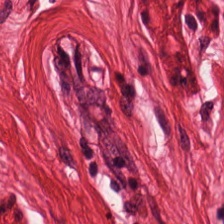H&E stain.
Muscularis.
